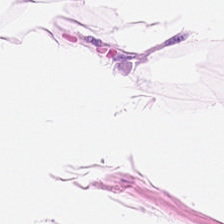Hematoxylin and eosin — Predominantly adipose tissue.
